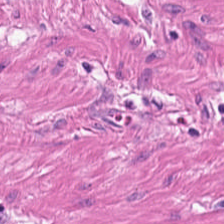The tissue here is smooth muscle.
